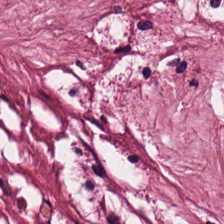H&E — Tumor stroma.
